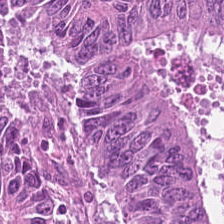WSI patch. 224×224 pixel tile. H&E-stained tissue section.
The tissue type is malignant epithelium.
